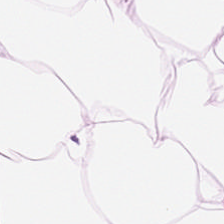H&E; formalin-fixed paraffin-embedded section.
{"tissue_type": "fat tissue"}
